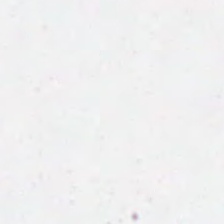H&E · brightfield microscopy · 0.5 microns per pixel — Q: What does this patch show?
A: Background (no tissue).
